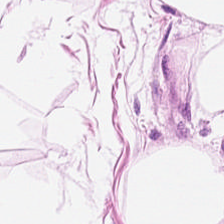Showing fat tissue.
